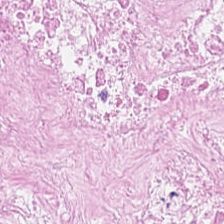Whole-slide-image patch · H&E — Q: What is shown here?
A: Debris.
